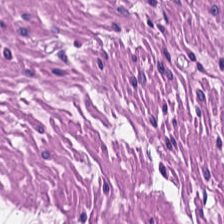H&E-stained tissue section — The predominant tissue is muscularis.
